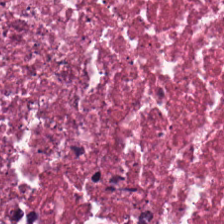H&E-stained tissue section.
The classification is debris.
